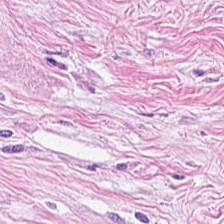Hematoxylin and eosin; brightfield microscopy.
Predominantly cancer-associated stroma.
